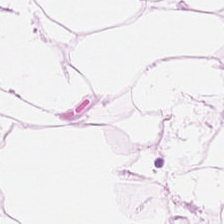Hematoxylin and eosin. Whole-slide-image patch. 224×224 pixel tile — {"tissue_type": "adipose tissue"}
